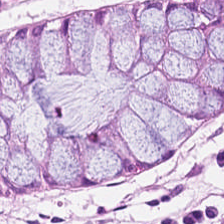FFPE tissue section. H&E. Predominant tissue — non-neoplastic colon mucosa.
